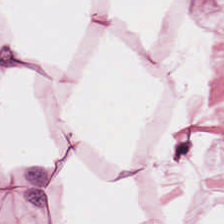H&E — The predominant tissue is adipose.
